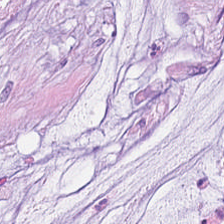Hematoxylin-and-eosin section: extracellular mucin.
